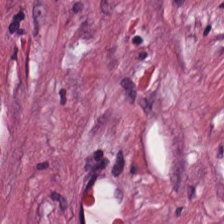H&E-stained tissue section.
This patch shows desmoplastic stroma.
